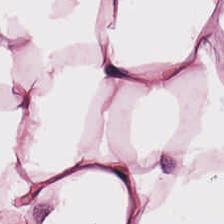Tissue class = fat tissue.
